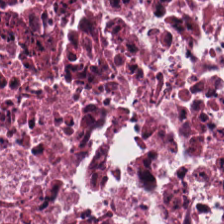WSI patch · H&E-stained tissue section. Q: What is the predominant tissue type?
A: This is necrotic debris.
